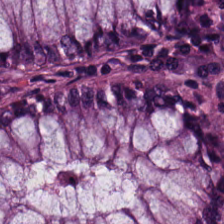Hematoxylin and eosin · FFPE tissue section.
This patch shows normal colonic mucosa.
